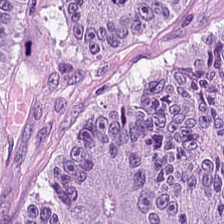Brightfield · hematoxylin and eosin. Q: What tissue type is shown here?
A: It is malignant epithelium.
